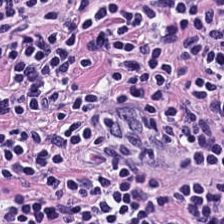H&E; whole-slide-image patch; 0.5 microns per pixel — Predominant tissue = lymphoid infiltrate.
